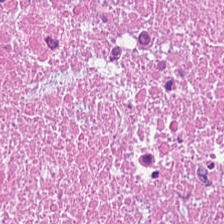H&E stain · brightfield microscopy — Impression — necrotic debris.
